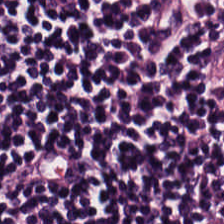Q: What is the predominant tissue type?
A: Lymphoid infiltrate.
